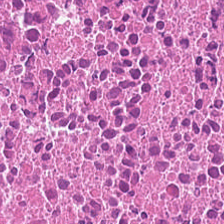H&E stain; 224×224 px patch — The tissue here is debris.
